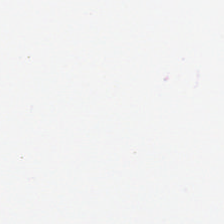Whole-slide-image patch · hematoxylin and eosin.
Finding → background.
